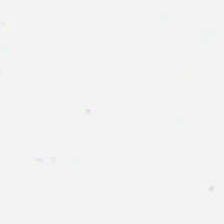Formalin-fixed paraffin-embedded section; H&E-stained tissue section — Q: Classify this patch.
A: This is background (no tissue).
